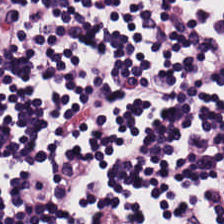Classification: lymphocytic infiltrate.
